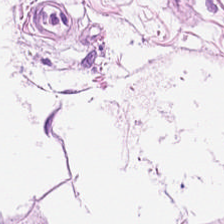This patch shows adipose tissue.
